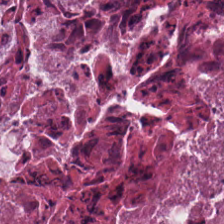Hematoxylin-and-eosin stained section.
{"tissue_type": "cellular debris"}
